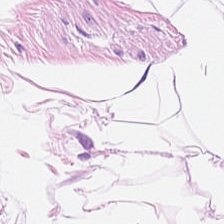Hematoxylin and eosin. Q: What type of tissue is this?
A: The field shows adipose tissue.
